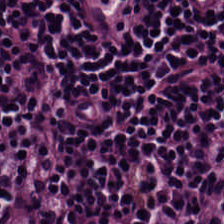Whole-slide-image patch; H&E-stained tissue section. Predominantly lymphocytic infiltrate.
